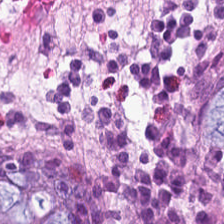Hematoxylin-and-eosin stained section; 224×224 px patch — Non-neoplastic colon mucosa.
